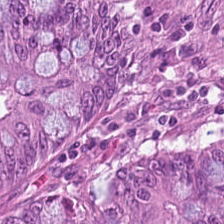Stain: hematoxylin-and-eosin stained section.
Tissue type: colorectal adenocarcinoma.
